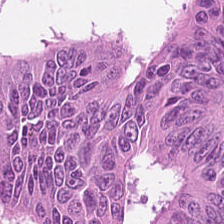WSI patch · H&E-stained tissue section. The tissue here is colorectal adenocarcinoma.
